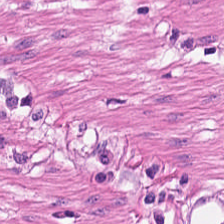Stain: hematoxylin and eosin.
Tissue type: smooth muscle.
